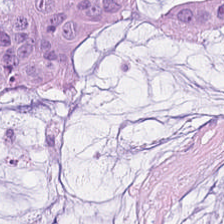H&E stain.
Impression — mucus.
